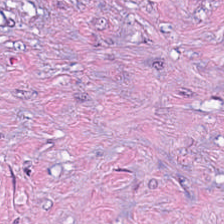Hematoxylin-and-eosin stained section — Predominant tissue = cancer-associated stroma.
